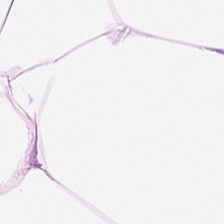Hematoxylin and eosin — {"tissue_type": "adipose"}
